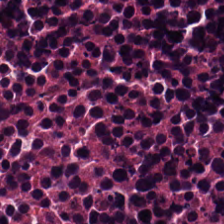Hematoxylin-and-eosin stained section; 224×224 px patch. Showing debris.
